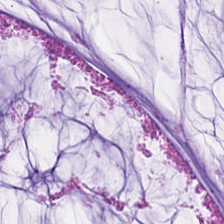Q: What is shown here?
A: The field shows mucus.
